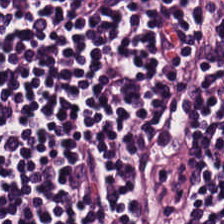Q: What is shown in this field?
A: Lymphoid infiltrate.
